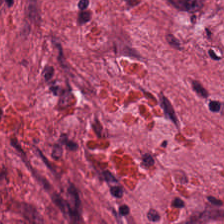Brightfield; hematoxylin and eosin.
Histology → tumor stroma.
